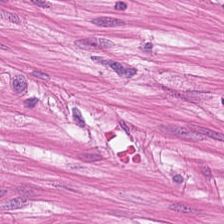H&E stain — Showing muscularis.
